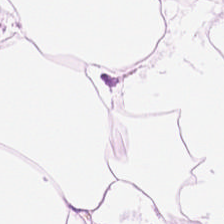H&E stain. Brightfield — Tissue: adipose.
